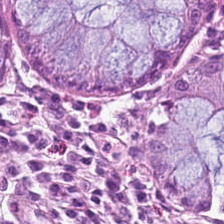224×224 px patch. H&E-stained tissue section — The tissue class is benign colonic mucosa.
